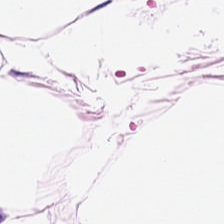H&E-stained tissue section — Tissue type — adipose.
